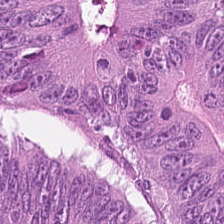0.5 microns per pixel · hematoxylin-and-eosin stained section — Q: What tissue is shown?
A: This is colorectal adenocarcinoma.
